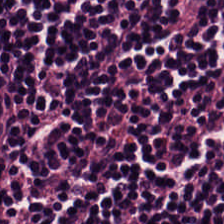Stain: hematoxylin-and-eosin stained section.
Classification: lymphocyte aggregate.
